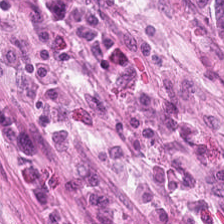The predominant tissue is normal colon mucosa.
